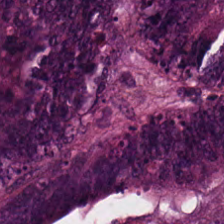Brightfield microscopy · hematoxylin and eosin — Classification: tumor epithelium.
